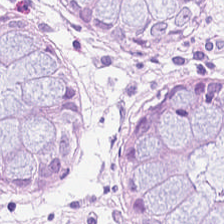Hematoxylin-and-eosin stained section — Predominantly normal colonic mucosa.
